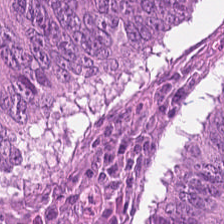Hematoxylin-and-eosin stained section — Q: What tissue is shown?
A: The field shows malignant epithelium.
